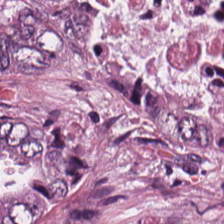H&E-stained tissue section — Impression — malignant epithelium.
